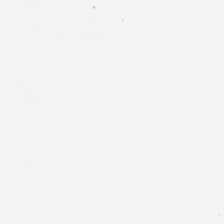Classification = empty background.
